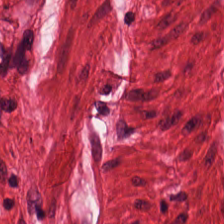0.5 µm/px. Hematoxylin and eosin. Brightfield microscopy.
The tissue class is muscularis.
